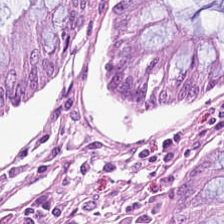H&E-stained tissue section.
Tissue type: benign colonic mucosa.
